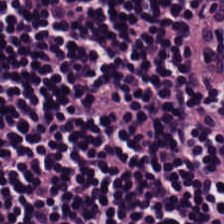H&E-stained tissue section. Formalin-fixed paraffin-embedded section. 224×224 px tile. Q: Classify this patch.
A: It is lymphocytes.
